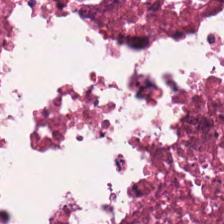Stain: hematoxylin and eosin.
Tissue class: necrotic debris.
